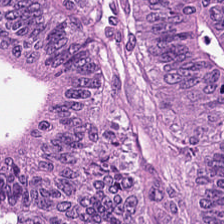H&E-stained tissue section showing colorectal adenocarcinoma epithelium.
